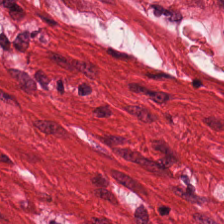0.5 µm/px; hematoxylin and eosin. This patch shows smooth-muscle tissue.
